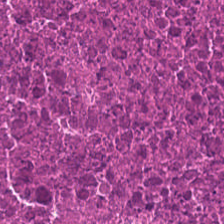H&E-stained tissue section.
The tissue class is debris.
